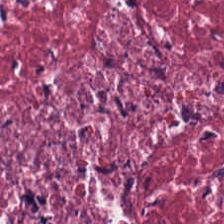H&E stain. Showing desmoplastic stroma.
